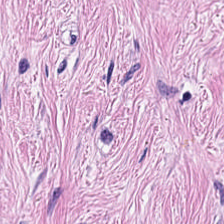H&E-stained tissue section · FFPE tissue section. Tissue — tumor stroma.
